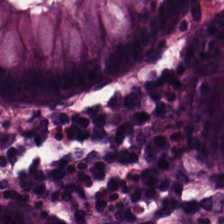Predominant tissue = normal colon mucosa.
